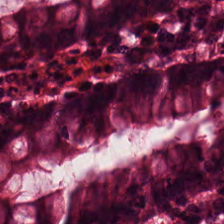Formalin-fixed paraffin-embedded section; H&E-stained tissue section — This patch shows benign colonic mucosa.
